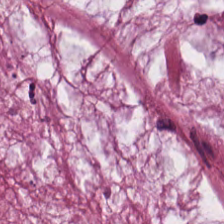Tissue class = mucin.
